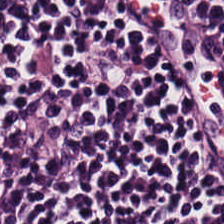224×224 pixel tile · hematoxylin and eosin.
Tissue: lymphoid infiltrate.
